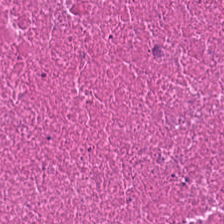Hematoxylin-and-eosin stained section. The predominant tissue is cellular debris.
